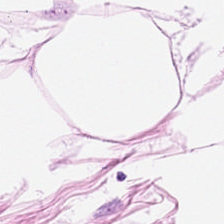Formalin-fixed paraffin-embedded section. WSI patch. Hematoxylin and eosin.
Showing adipose.
